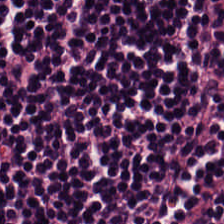Stain: hematoxylin-and-eosin stained section.
Predominant tissue: lymphocyte aggregate.
